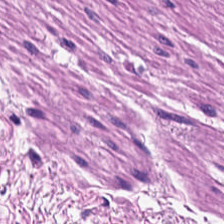Q: What tissue is shown?
A: It is smooth-muscle tissue.
